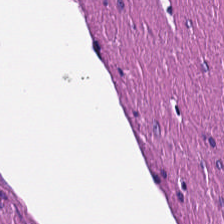Hematoxylin and eosin. 0.5 microns per pixel. Brightfield microscopy.
Tissue class — smooth-muscle tissue.
